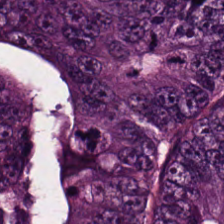H&E stain. Q: What tissue is shown?
A: It is tumor epithelium.
